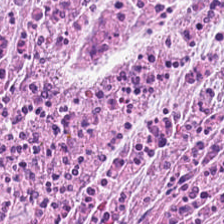Hematoxylin-and-eosin stained section · 224×224 px tile.
The predominant tissue is tumor stroma.
